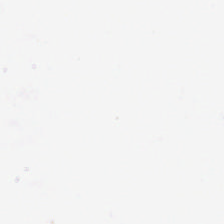Finding — background (no tissue).
